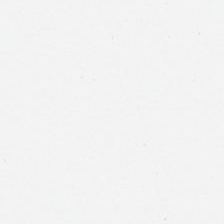Hematoxylin and eosin — This patch shows empty background.
